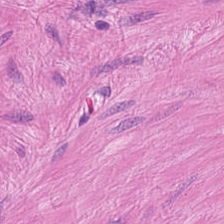{"tissue_type": "muscularis"}
